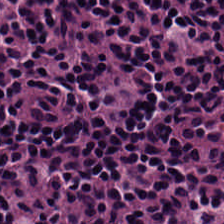Formalin-fixed paraffin-embedded section · H&E-stained tissue section. This patch shows lymphocytes.
